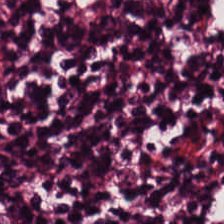H&E stain · brightfield microscopy.
Impression — lymphoid infiltrate.
